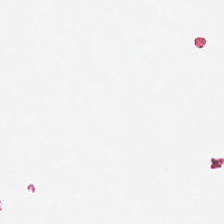Whole-slide-image patch; H&E stain; 224×224 pixel tile — The classification is no tissue.
